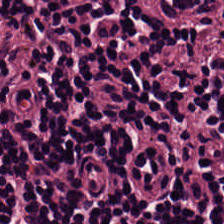Stain: H&E-stained tissue section.
Predominant tissue: lymphocytic infiltrate.
